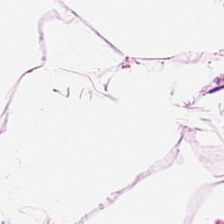Q: What is shown here?
A: Adipose tissue.
